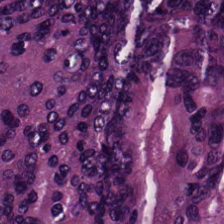Brightfield; hematoxylin and eosin.
The predominant tissue is colorectal adenocarcinoma epithelium.
